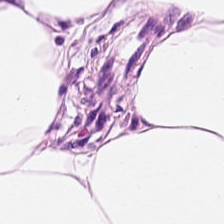H&E-stained tissue section — Showing adipose tissue.
